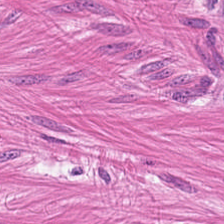224×224 pixel tile; formalin-fixed paraffin-embedded section; H&E-stained tissue section.
Q: What is shown here?
A: The field shows smooth muscle.
